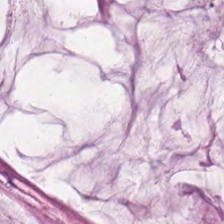{"tissue_type": "mucin"}
